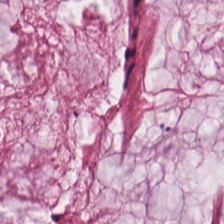H&E — The tissue here is extracellular mucin.
